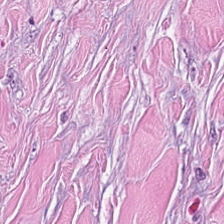H&E — The predominant tissue is desmoplastic stroma.
